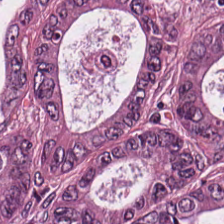0.5 microns per pixel; H&E-stained tissue section — The predominant tissue is adenocarcinoma.
